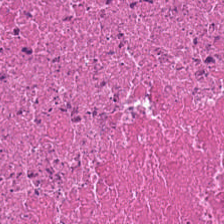Whole-slide-image patch · hematoxylin-and-eosin stained section. Tissue class: cellular debris.
